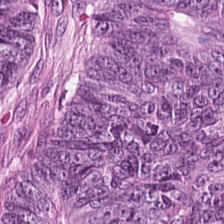Hematoxylin and eosin. The tissue type is adenocarcinoma.
